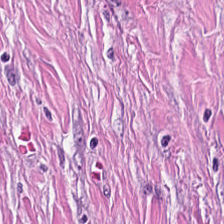H&E-stained tissue section.
Q: What type of tissue is this?
A: The field shows tumor stroma.
